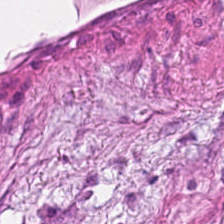224×224 px patch. H&E stain — Cancer-associated stroma.
